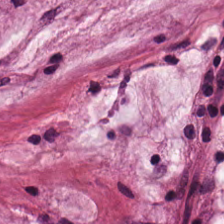Brightfield microscopy · hematoxylin and eosin. Tissue — mucus.
